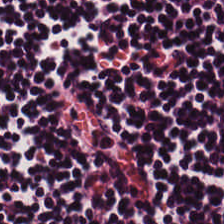Stain: H&E.
Acquisition: whole-slide-image patch.
Tissue: lymphocytes.
